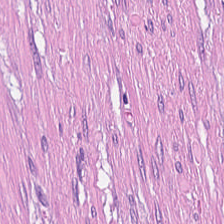Hematoxylin-and-eosin stained section. 0.5 µm/px — Predominantly cancer-associated stroma.
